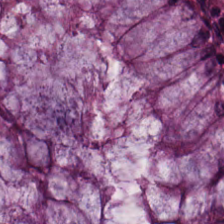Showing normal colon mucosa.
